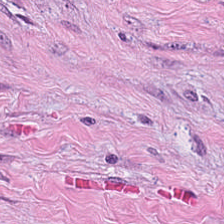Hematoxylin-and-eosin stained section. 0.5 µm/px.
This field is tumor-associated stroma.
